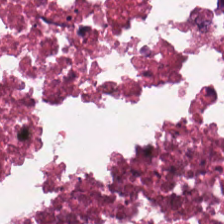Hematoxylin and eosin · whole-slide-image patch — Showing debris.
